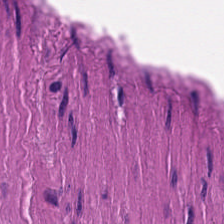H&E-stained tissue section — Smooth muscle.
